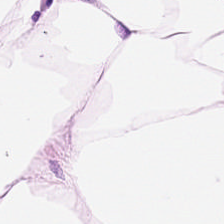Q: What is the predominant tissue type?
A: Adipose.
